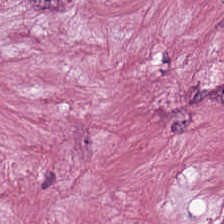Hematoxylin and eosin.
Q: What is shown in this field?
A: It is tumor stroma.
